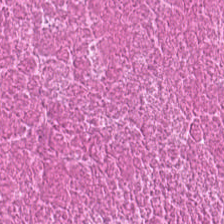H&E-stained tissue section; FFPE tissue section; 224×224 pixel tile — Showing debris.
